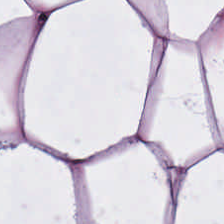H&E-stained tissue section. Showing adipose tissue.
